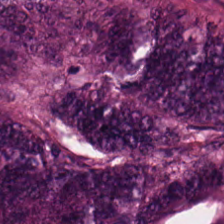FFPE. Hematoxylin-and-eosin stained section. 0.5 µm/px.
Tissue class: colorectal adenocarcinoma epithelium.
